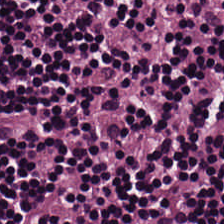Hematoxylin and eosin — This field is lymphocyte aggregate.
